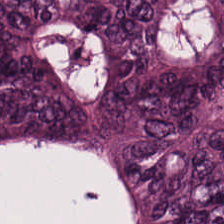Whole-slide-image patch. 0.5 microns per pixel. H&E stain — Q: What tissue is shown?
A: Colorectal adenocarcinoma epithelium.
